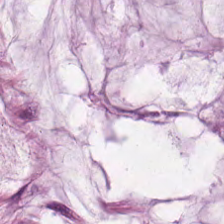H&E-stained tissue section. 224×224 pixel tile. FFPE tissue section — Q: Classify this patch.
A: This is extracellular mucin.
